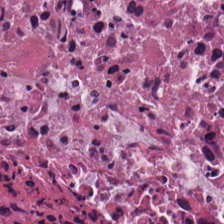Formalin-fixed paraffin-embedded section; H&E-stained tissue section. This field is necrotic debris.
